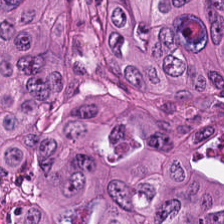H&E-stained tissue section.
Predominantly colorectal adenocarcinoma.
